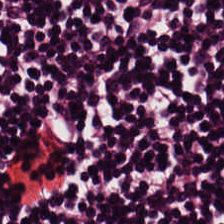Hematoxylin and eosin. Brightfield. Q: What is shown in this field?
A: This is lymphocytes.
